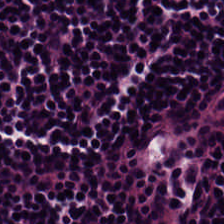Stain: H&E.
Resolution: 0.5 microns per pixel.
Tissue class: lymphoid infiltrate.
